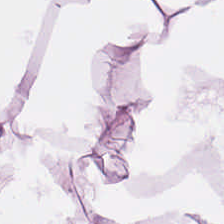Hematoxylin-and-eosin stained section.
Adipose tissue.
